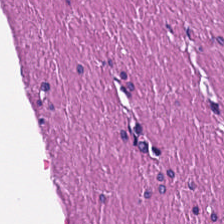Stain: hematoxylin-and-eosin stained section.
Tissue: muscularis.
